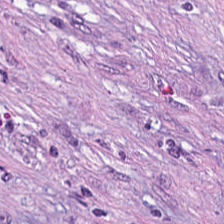Hematoxylin-and-eosin stained section. This patch shows tumor-associated stroma.
